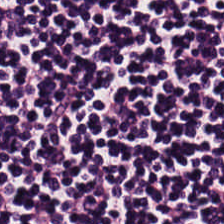The tissue here is lymphoid infiltrate.
